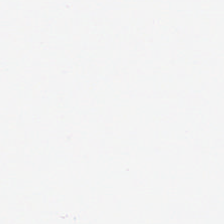Q: What does this patch show?
A: No tissue.
